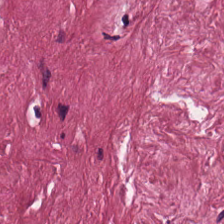Stain: H&E-stained tissue section.
Acquisition: whole-slide-image patch.
Classification: tumor stroma.
